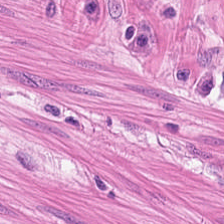Tissue = smooth-muscle tissue.
